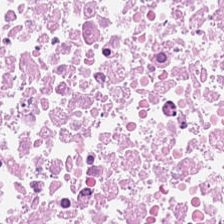H&E-stained tissue section. The tissue here is debris.
